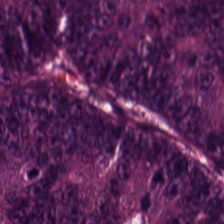H&E.
Q: Classify this patch.
A: This is adenocarcinoma.
